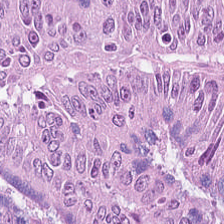20× equivalent magnification. H&E. 224×224 pixel tile — Q: What does this patch show?
A: This is malignant epithelium.
